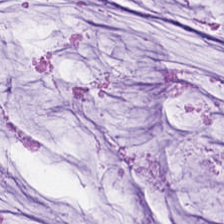Q: What does this patch show?
A: Mucus.
